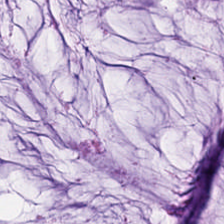Formalin-fixed paraffin-embedded section. H&E stain.
Q: Classify this patch.
A: The field shows extracellular mucin.
